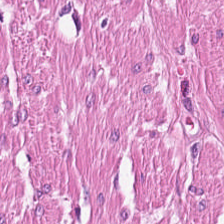H&E-stained tissue section · formalin-fixed paraffin-embedded section. The tissue is smooth-muscle tissue.
